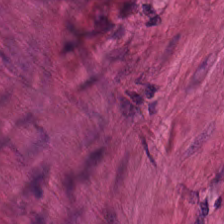Stain: H&E stain.
Tissue: smooth-muscle tissue.
